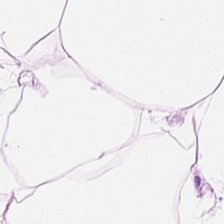H&E stain. Predominantly adipose tissue.
